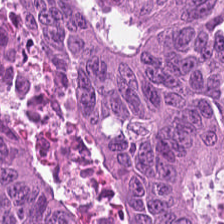Hematoxylin-and-eosin stained section. This patch shows malignant epithelium.
